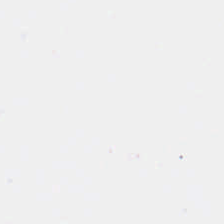H&E stain. Impression → empty background.
